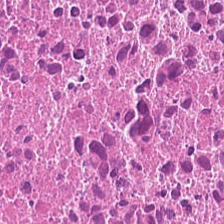224×224 pixel tile · hematoxylin-and-eosin stained section. This field is necrotic debris.
